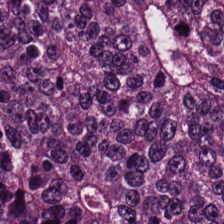Q: What type of tissue is this?
A: This is malignant epithelium.
